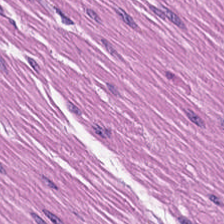H&E; 0.5 microns per pixel. Q: What type of tissue is this?
A: It is smooth-muscle tissue.
